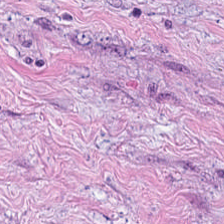Hematoxylin-and-eosin section: cancer-associated stroma.
